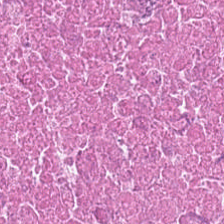0.5 microns per pixel · H&E-stained tissue section — Showing debris.
